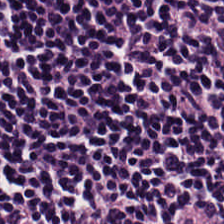H&E stain.
Impression — lymphoid infiltrate.
